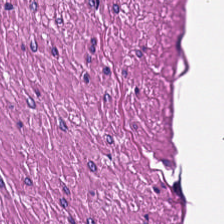Stain: H&E stain.
Resolution: 0.5 µm per pixel.
Preparation: formalin-fixed paraffin-embedded section.
Tissue type: smooth muscle.
